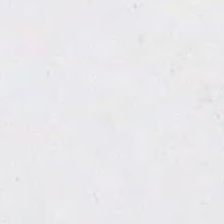H&E-stained tissue section — Field content: empty background.
